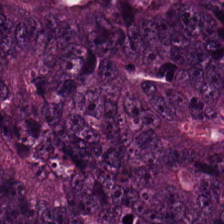Hematoxylin and eosin; 0.5 microns per pixel. The tissue here is malignant epithelium.
